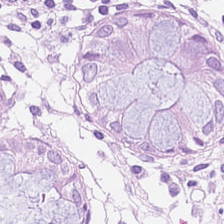Stain: hematoxylin-and-eosin stained section.
Tissue type: non-neoplastic colon mucosa.
